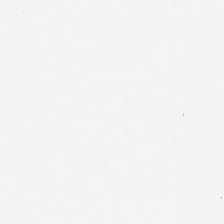H&E-stained tissue section. FFPE tissue section — {"content": "empty background"}
